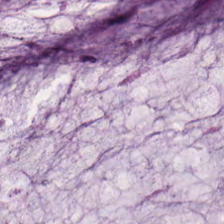224×224 px tile · FFPE · H&E stain — This field is mucin.
